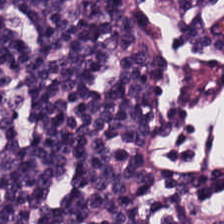Hematoxylin-and-eosin stained section — Finding — lymphocytes.
